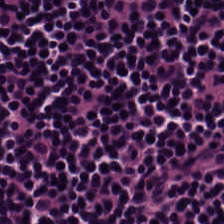0.5 microns per pixel. Hematoxylin and eosin.
This patch shows lymphocytes.
